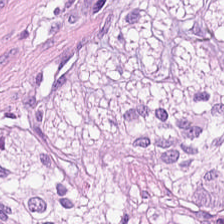Whole-slide-image patch · FFPE · hematoxylin-and-eosin stained section. Q: What is the predominant tissue type?
A: This is muscularis.
